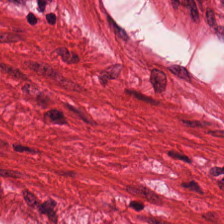The tissue class is muscularis.
